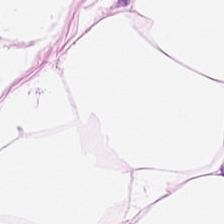Hematoxylin and eosin.
Q: What is the predominant tissue type?
A: It is adipocytes.
